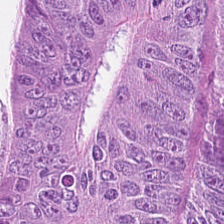H&E-stained tissue section. {"tissue_type": "tumor epithelium"}
